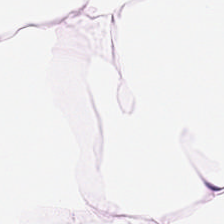Hematoxylin and eosin; 224×224 px patch.
Predominant tissue — adipocytes.
